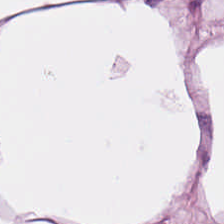0.5 µm/px. Hematoxylin and eosin.
Impression — adipocytes.
